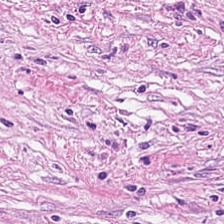H&E.
The tissue type is tumor stroma.
